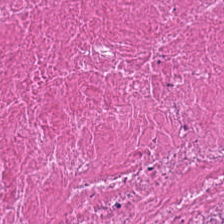Stain: H&E-stained tissue section.
Tissue: debris.
